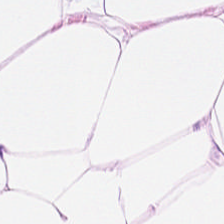Stain: hematoxylin-and-eosin stained section.
Tissue type: adipocytes.
